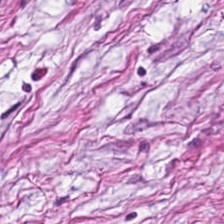Stain: H&E-stained tissue section.
Tissue: tumor stroma.
